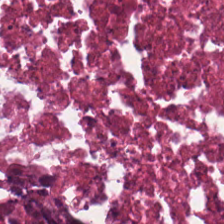0.5 µm/px · hematoxylin and eosin. {"tissue_type": "necrotic debris"}
